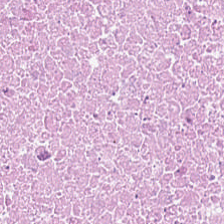FFPE · H&E. {"tissue_type": "debris"}
